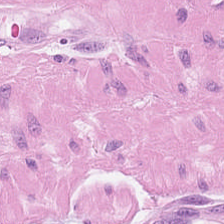Formalin-fixed paraffin-embedded section. Hematoxylin-and-eosin stained section.
Predominantly muscularis.
